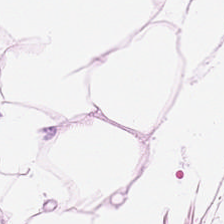Hematoxylin-and-eosin section: adipocytes.
